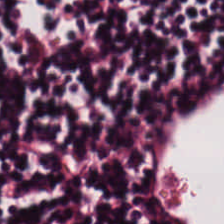Hematoxylin and eosin. Q: What tissue type is shown here?
A: It is lymphocytes.
